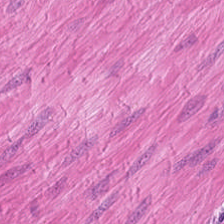This field is smooth-muscle tissue.
